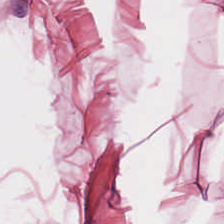Brightfield microscopy · H&E-stained tissue section · 224×224 pixel tile — Q: What is shown in this field?
A: This is adipose.
